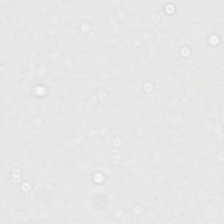H&E stain. This field is background (no tissue).
